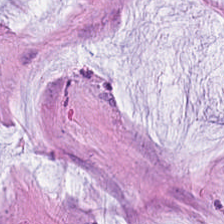H&E — mucus.
